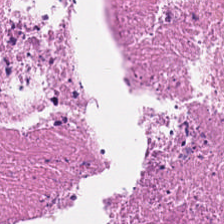224×224 px tile. Hematoxylin and eosin.
This patch shows necrotic debris.
